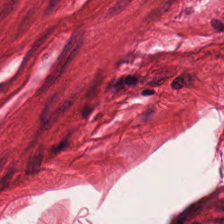Stain: hematoxylin and eosin.
Predominant tissue: muscularis.
